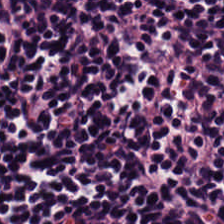Brightfield microscopy; H&E-stained tissue section; 0.5 µm/px.
This patch shows lymphocytes.
